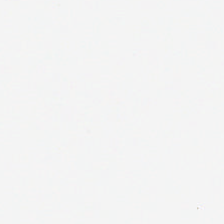0.5 µm per pixel; hematoxylin-and-eosin stained section — Q: Classify this patch.
A: The field shows no tissue.
